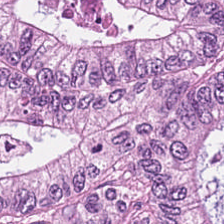H&E-stained tissue section. 224×224 px tile — Q: What type of tissue is this?
A: It is malignant epithelium.
